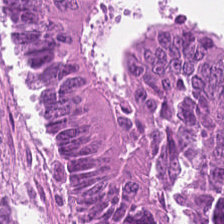H&E stain.
Colorectal adenocarcinoma epithelium.
